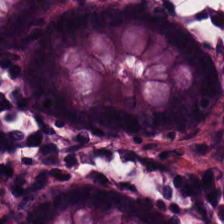Hematoxylin-and-eosin stained section. This field is benign colonic mucosa.
